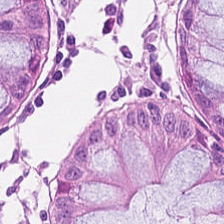Hematoxylin-and-eosin stained section. Normal colon mucosa.
